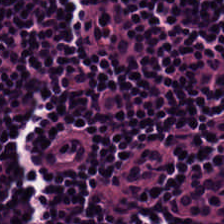Hematoxylin and eosin · 20× equivalent magnification.
Impression → lymphoid infiltrate.
